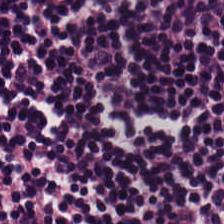H&E. 224×224 px tile. 0.5 microns per pixel.
{"tissue_type": "lymphocyte aggregate"}
